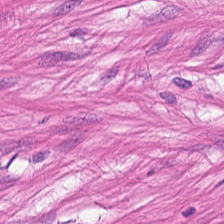H&E stain · FFPE — The predominant tissue is muscularis.
